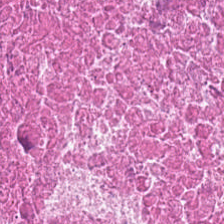Predominantly debris.
